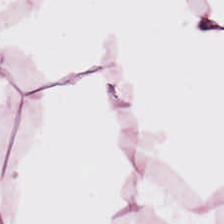H&E-stained tissue section.
{"tissue_type": "adipocytes"}
